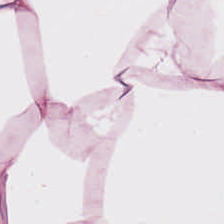Hematoxylin and eosin.
{"tissue_type": "adipose tissue"}
